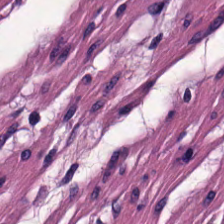Stain: hematoxylin and eosin.
Acquisition: whole-slide-image patch.
Predominant tissue: smooth muscle.
